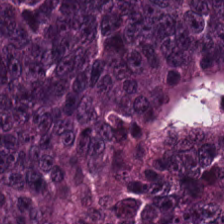Histology → adenocarcinoma.
